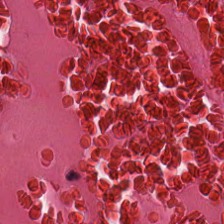Hematoxylin and eosin. FFPE tissue section — The tissue here is necrotic debris.
